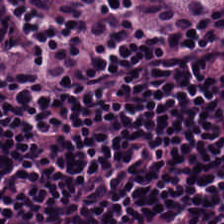224×224 px tile; hematoxylin and eosin.
Predominantly lymphocytes.
